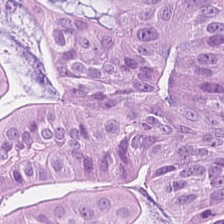Predominant tissue — adenocarcinoma.
